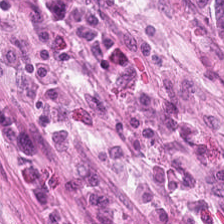Q: What tissue type is shown here?
A: Normal colon mucosa.
